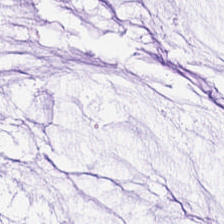Predominant tissue = mucus.
